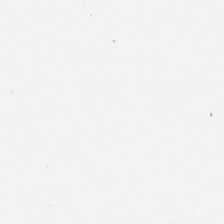Finding → no tissue.
